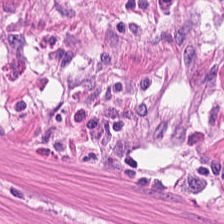Stain: H&E stain.
Preparation: formalin-fixed paraffin-embedded section.
Tissue: smooth-muscle tissue.
